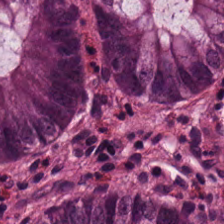FFPE tissue section · brightfield · H&E — The tissue class is non-neoplastic colon mucosa.
